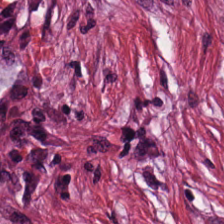Classification = tumor stroma.
